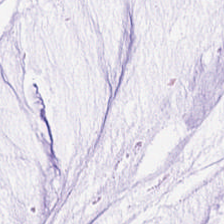224×224 pixel tile. 0.5 microns per pixel. H&E-stained tissue section — Showing mucus.
